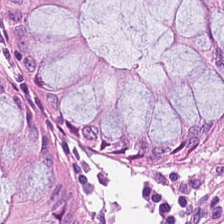H&E — Impression → normal colon mucosa.
